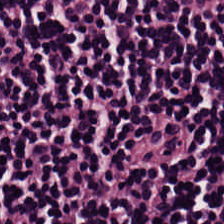Tissue — lymphocytes.
